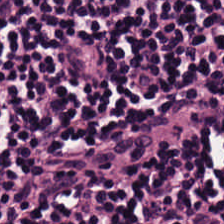224×224 pixel tile · H&E-stained tissue section. Predominantly lymphocytic infiltrate.
